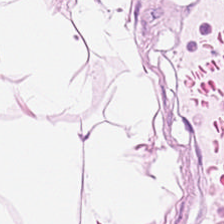{"tissue_type": "adipose tissue"}
